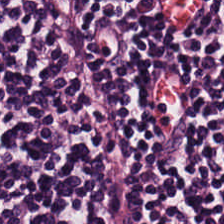224×224 pixel tile. Hematoxylin-and-eosin stained section. Predominantly lymphocytic infiltrate.
